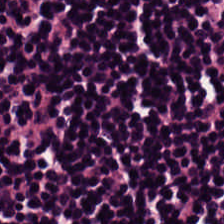Hematoxylin-and-eosin stained section. {"tissue_type": "lymphoid infiltrate"}
